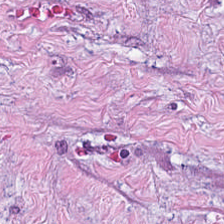Stain: hematoxylin and eosin.
Preparation: formalin-fixed paraffin-embedded section.
Tile size: 224×224 px tile.
Tissue type: tumor stroma.
